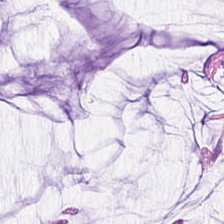Hematoxylin-and-eosin stained section. Brightfield — Mucin.
